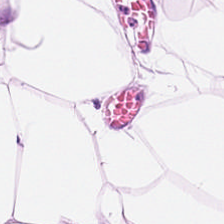Showing adipocytes.
